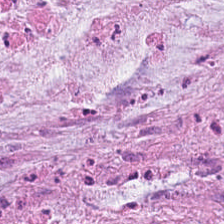Finding → extracellular mucin.
